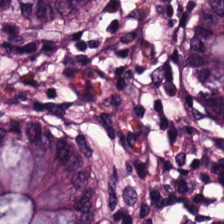224×224 pixel tile. H&E stain. Q: What is shown in this field?
A: This is benign colonic mucosa.
